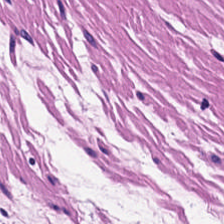224×224 pixel tile · hematoxylin and eosin · whole-slide-image patch. Tissue type: muscularis.
